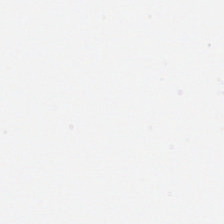Q: What is shown in this field?
A: Background (no tissue).
